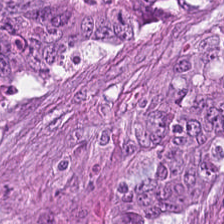Q: What is shown here?
A: The field shows tumor epithelium.
